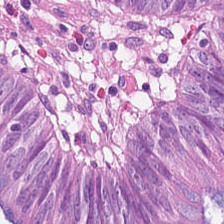Colorectal adenocarcinoma epithelium.
